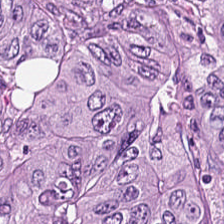Stain: H&E-stained tissue section.
Tile size: 224×224 px tile.
Tissue: adenocarcinoma.
